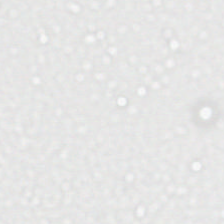H&E-stained tissue section. No tissue present; background only.
